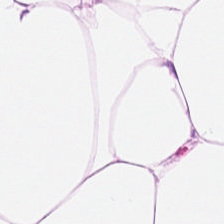This patch shows fat tissue.
